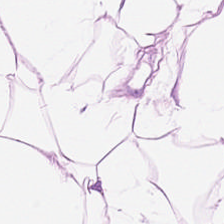20× equivalent magnification. Hematoxylin-and-eosin stained section.
Classification: fat tissue.
